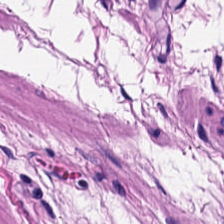Smooth muscle.
